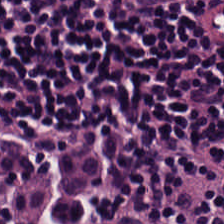Predominantly lymphocyte aggregate.
